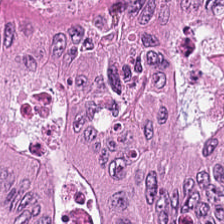H&E stain · brightfield — Classification = colorectal adenocarcinoma.
